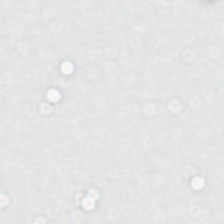H&E-stained tissue section. Content: no tissue.
